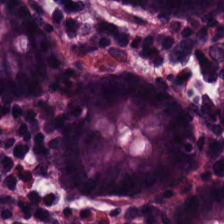Hematoxylin-and-eosin stained section; 224×224 px patch.
The tissue type is normal colonic mucosa.
